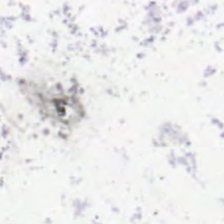Histology → no tissue.
